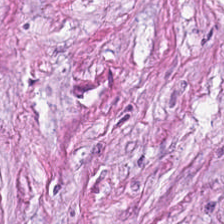Stain: H&E-stained tissue section.
Acquisition: brightfield microscopy.
Tile size: 224×224 pixel tile.
Predominant tissue: cancer-associated stroma.
